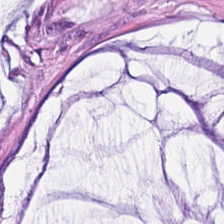H&E — Q: What is shown here?
A: It is mucin.
